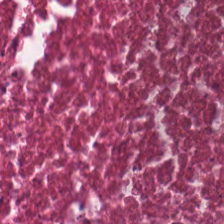Tissue type: debris.
